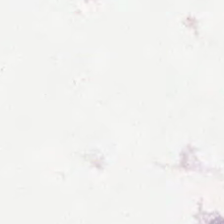H&E.
Empty field — background (no tissue).
